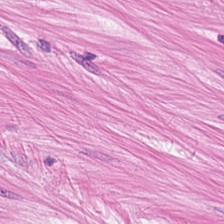FFPE · hematoxylin and eosin — Predominantly smooth muscle.
